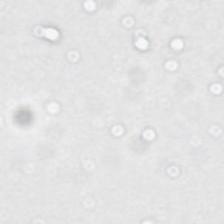H&E-stained tissue section. Background — no tissue in this field.
